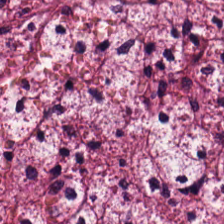The tissue is desmoplastic stroma.
